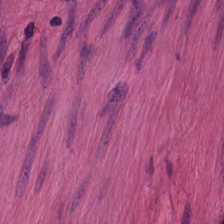Predominant tissue = muscularis.
